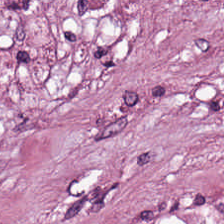Stain: H&E-stained tissue section.
Resolution: 0.5 µm/px.
Tile size: 224×224 pixel tile.
Classification: desmoplastic stroma.
